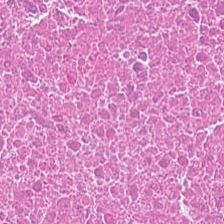224×224 pixel tile. Hematoxylin-and-eosin stained section. FFPE — Classification — cellular debris.
